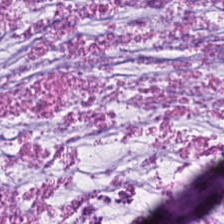Stain: H&E.
Tissue: mucin.
